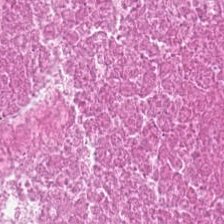Hematoxylin and eosin; 20× equivalent magnification — Predominant tissue — necrotic debris.
